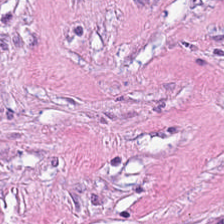Formalin-fixed paraffin-embedded section; hematoxylin and eosin; 0.5 microns per pixel. {"tissue_type": "tumor stroma"}
